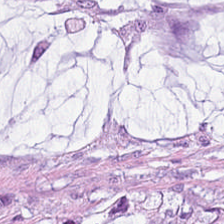Tissue type = mucin.
